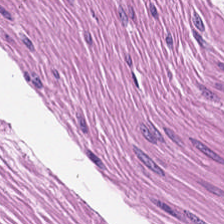Hematoxylin-and-eosin section: smooth-muscle tissue.
